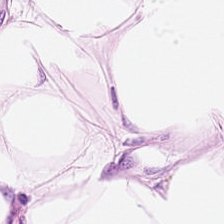Impression — adipocytes.
